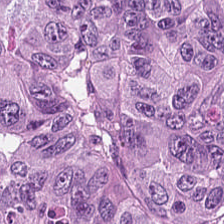0.5 microns per pixel · H&E-stained tissue section · 224×224 px tile. This field is colorectal adenocarcinoma.
